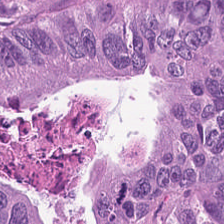H&E stain. Tissue — tumor epithelium.
